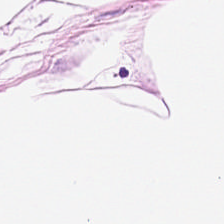H&E; 0.5 µm/px. Classification: fat tissue.
